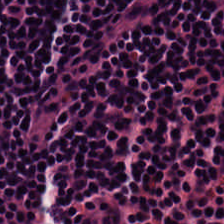H&E stain · brightfield microscopy. Tissue: lymphocytes.
